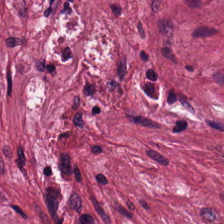Formalin-fixed paraffin-embedded section · H&E — The tissue here is cancer-associated stroma.
